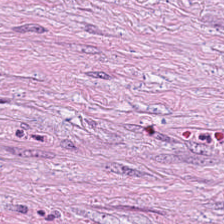H&E. FFPE. 0.5 µm per pixel. The predominant tissue is cancer-associated stroma.
